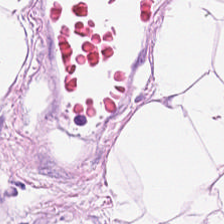0.5 microns per pixel. Hematoxylin and eosin. Finding → fat tissue.
